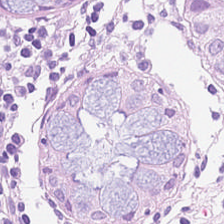Q: What tissue type is shown here?
A: The field shows normal colonic mucosa.
